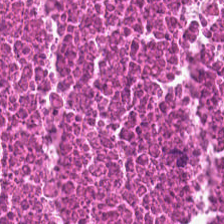FFPE. H&E. Brightfield microscopy — Q: Classify this patch.
A: The field shows debris.
